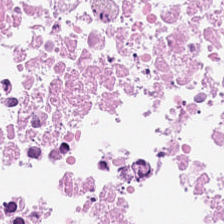H&E-stained tissue section — The tissue is necrotic debris.
